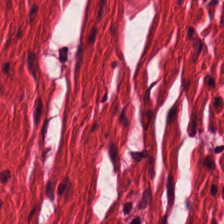H&E stain — Q: What tissue type is shown here?
A: Smooth muscle.
